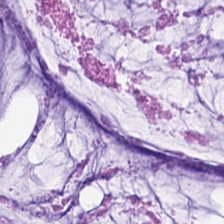H&E stain. Impression → mucin.
